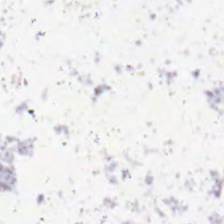Hematoxylin and eosin; 20× equivalent magnification — Content = empty background.
